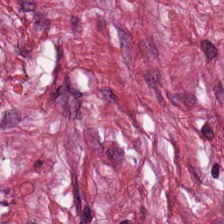The tissue type is tumor stroma.
